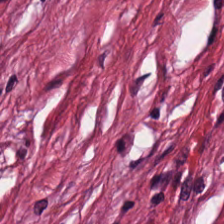0.5 µm/px. H&E.
The predominant tissue is tumor-associated stroma.
